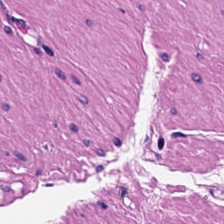Finding — muscularis.
